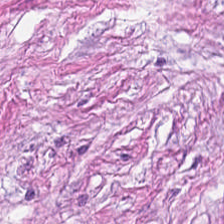Hematoxylin and eosin.
Q: Classify this patch.
A: Tumor-associated stroma.
